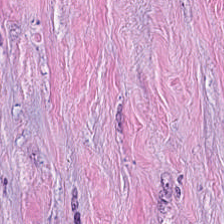H&E stain — This field is cancer-associated stroma.
